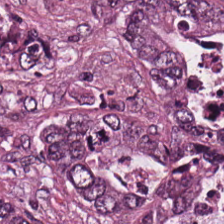H&E — Q: Identify the tissue.
A: It is colorectal adenocarcinoma.
